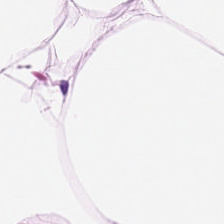H&E. Classification = adipose tissue.
